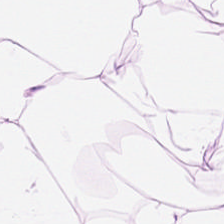Hematoxylin and eosin.
Finding → fat tissue.
